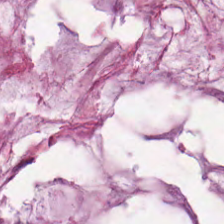H&E-stained tissue section. Q: What is the predominant tissue type?
A: Mucin.
